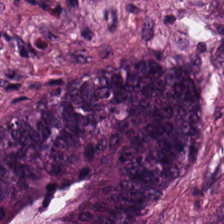H&E. {"tissue_type": "malignant epithelium"}
